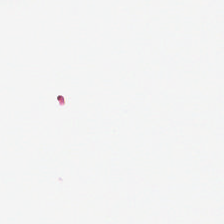H&E stain. FFPE. 224×224 px patch.
Q: Classify this patch.
A: It is no tissue.
